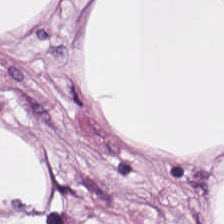H&E stain. Adipocytes.
